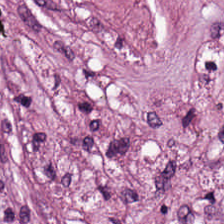H&E stain. This field is cancer-associated stroma.
